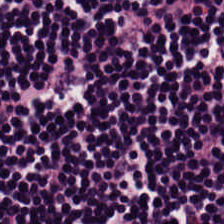Hematoxylin-and-eosin stained section — Histology → lymphoid infiltrate.
